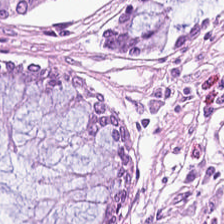Tissue type: benign colonic mucosa.
